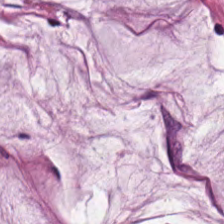H&E-stained tissue section. 0.5 µm/px. FFPE — Predominantly mucin.
